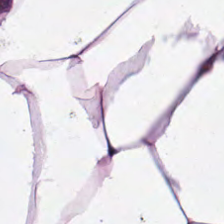H&E — Q: What is shown in this field?
A: It is adipose.
